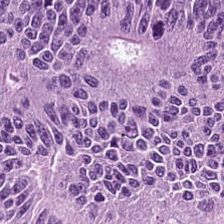Q: What is the predominant tissue type?
A: This is adenocarcinoma.
